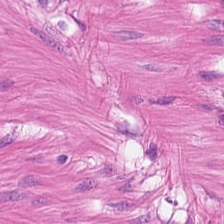Hematoxylin-and-eosin stained section. Finding → muscularis.
